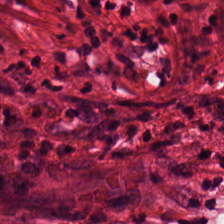Q: Identify the tissue.
A: Tumor-associated stroma.
